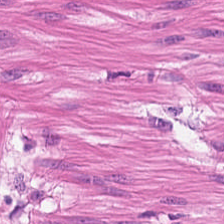Stain: hematoxylin and eosin.
Tissue: smooth muscle.
